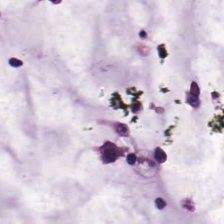Hematoxylin and eosin; WSI patch — Showing mucin.
